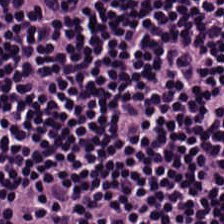Stain: hematoxylin-and-eosin stained section.
Classification: lymphoid infiltrate.
